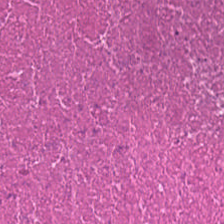Predominantly cellular debris.
